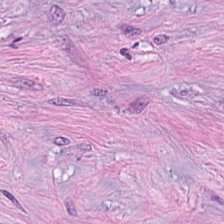Hematoxylin and eosin. Formalin-fixed paraffin-embedded section — The tissue here is cancer-associated stroma.
